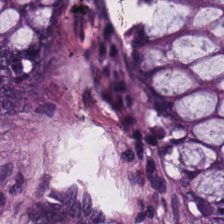Hematoxylin and eosin. 0.5 µm per pixel — Q: What is the predominant tissue type?
A: This is benign colonic mucosa.
